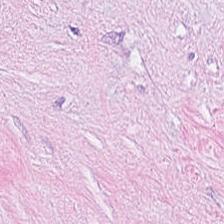Tissue type — tumor stroma.
